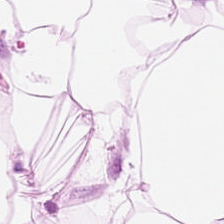H&E — This field is adipose.
